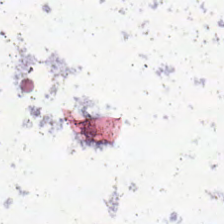FFPE; H&E — Background.
